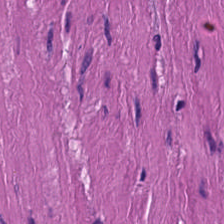224×224 px patch · 20× equivalent magnification · H&E stain.
The predominant tissue is smooth muscle.
